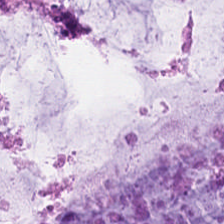0.5 µm per pixel; H&E; 224×224 px patch.
Predominantly extracellular mucin.
